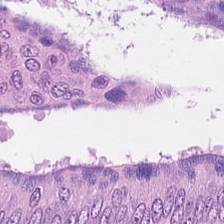H&E patch showing malignant epithelium.
